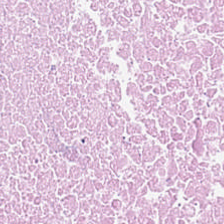Hematoxylin-and-eosin stained section; 0.5 µm per pixel.
Predominant tissue — necrotic debris.
